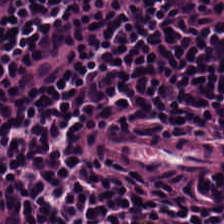H&E stain — This patch shows lymphocyte aggregate.
